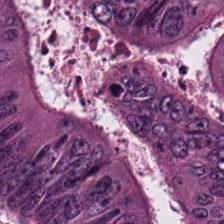{"tissue_type": "colorectal adenocarcinoma"}
